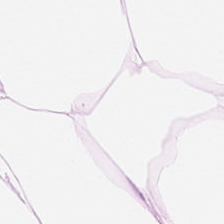H&E stain — This patch shows adipocytes.
